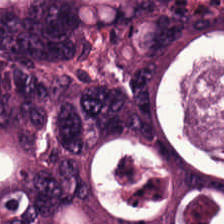H&E-stained tissue section. Q: What is the predominant tissue type?
A: Tumor epithelium.
